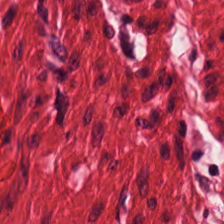Hematoxylin-and-eosin stained section — Tissue: smooth muscle.
